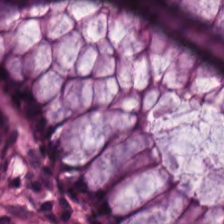Hematoxylin-and-eosin stained section — Q: What is shown here?
A: The field shows non-neoplastic colon mucosa.
